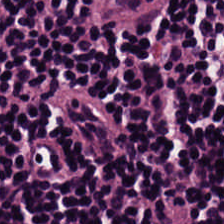Hematoxylin and eosin; WSI patch.
Tissue type — lymphocytes.
